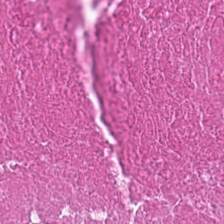H&E-stained tissue section. Finding — necrotic debris.
